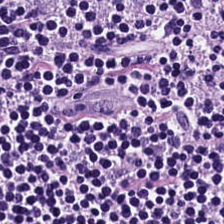Hematoxylin-and-eosin section: lymphocytic infiltrate.
